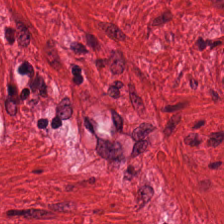Stain: H&E.
Preparation: FFPE tissue section.
Resolution: 20× equivalent magnification.
Tissue: muscularis.
